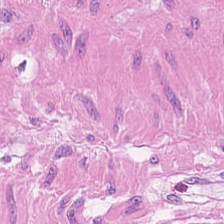Hematoxylin-and-eosin stained section.
Q: What is shown in this field?
A: This is smooth-muscle tissue.
